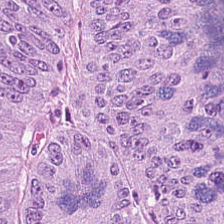224×224 pixel tile · H&E stain — Malignant epithelium.
